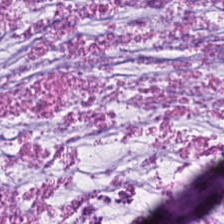H&E — Q: Identify the tissue.
A: The field shows mucin.
